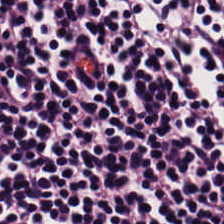Hematoxylin and eosin.
Impression → lymphocytic infiltrate.
